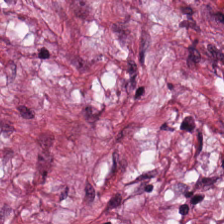Stain: hematoxylin-and-eosin stained section.
Classification: cancer-associated stroma.
